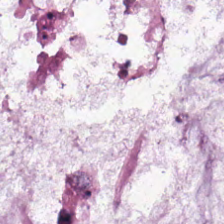H&E.
Q: What tissue type is shown here?
A: Extracellular mucin.
